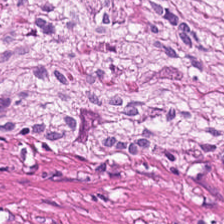H&E stain; 0.5 µm per pixel.
Histology — smooth-muscle tissue.
